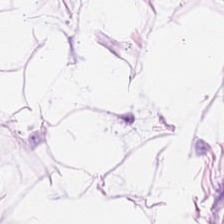H&E-stained tissue section.
Q: What is shown here?
A: Adipocytes.
